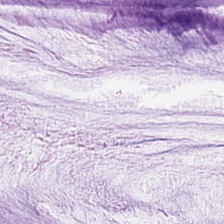H&E-stained tissue section. This field is extracellular mucin.
